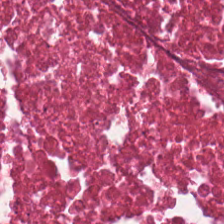Hematoxylin and eosin.
The tissue is cellular debris.
